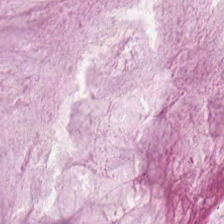Stain: hematoxylin-and-eosin stained section.
Acquisition: brightfield microscopy.
Tile size: 224×224 pixel tile.
Classification: extracellular mucin.
